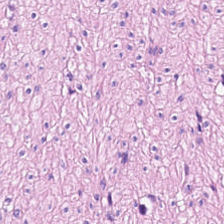Stain: hematoxylin and eosin.
Classification: smooth-muscle tissue.
